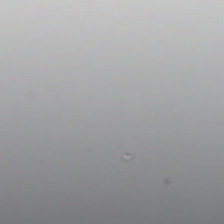Stain: H&E.
Tile size: 224×224 px patch.
Acquisition: whole-slide-image patch.
Field content: background (no tissue).
